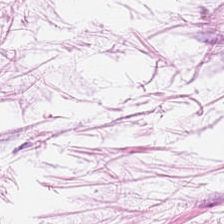Hematoxylin-and-eosin section: adipocytes.
